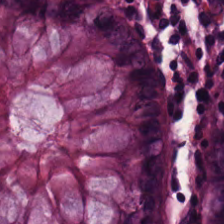Stain: H&E-stained tissue section.
Resolution: 20× equivalent magnification.
Acquisition: brightfield.
Classification: non-neoplastic colon mucosa.
